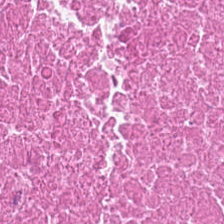Brightfield. H&E. FFPE tissue section. The tissue type is necrotic debris.
